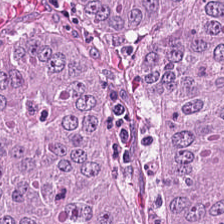H&E-stained tissue section.
The predominant tissue is colorectal adenocarcinoma epithelium.
